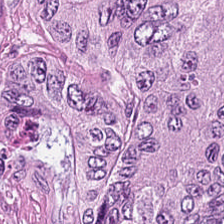The tissue class is malignant epithelium.
